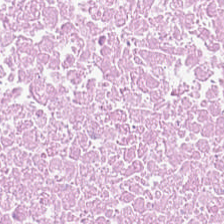H&E.
Predominantly debris.
